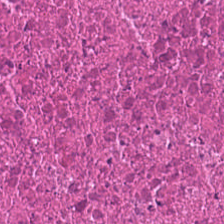FFPE tissue section · hematoxylin-and-eosin stained section. Showing necrotic debris.
